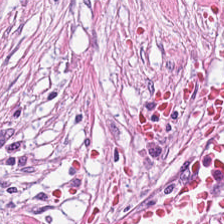Q: What type of tissue is this?
A: The field shows tumor stroma.
